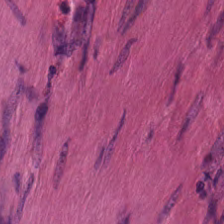FFPE tissue section. Hematoxylin and eosin. Brightfield — Showing smooth muscle.
